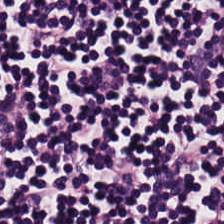224×224 px tile; H&E; formalin-fixed paraffin-embedded section.
Tissue class = lymphocyte aggregate.
